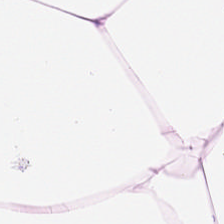Hematoxylin and eosin — This patch shows adipose.
